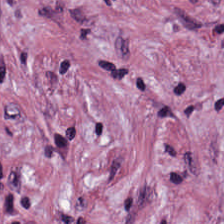Stain: H&E stain.
Tissue: cancer-associated stroma.
